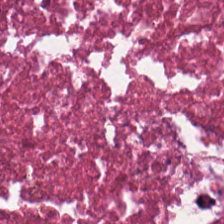H&E stain · 224×224 pixel tile · brightfield — Finding — cellular debris.
